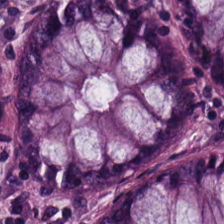Hematoxylin and eosin.
{"tissue_type": "normal colon mucosa"}
